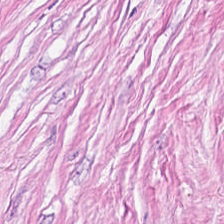Stain: H&E.
Predominant tissue: tumor-associated stroma.
